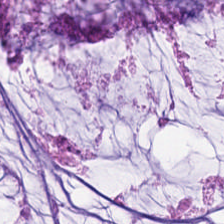H&E stain. Brightfield.
This patch shows mucin.
